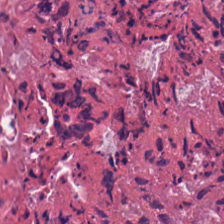Hematoxylin-and-eosin stained section. FFPE. 224×224 px patch. Predominant tissue = cellular debris.
